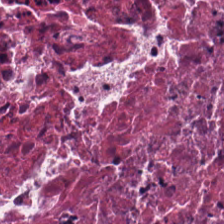Hematoxylin and eosin · FFPE — {"tissue_type": "debris"}
